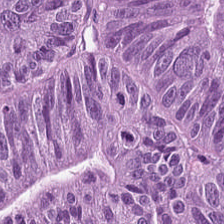{"tissue_type": "tumor epithelium"}
